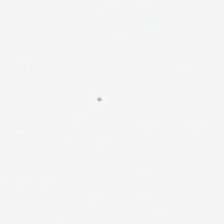Stain: hematoxylin and eosin.
Field content: empty background.
